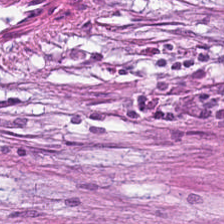Hematoxylin and eosin. Tissue = tumor stroma.
